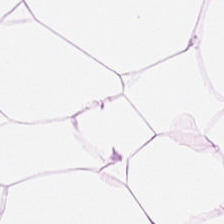Classification: adipocytes.
